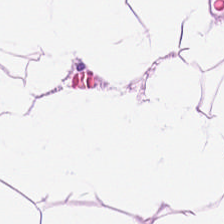H&E. This patch shows fat tissue.
